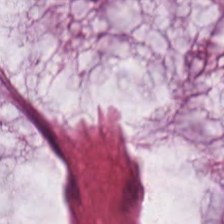Tissue type: extracellular mucin.
